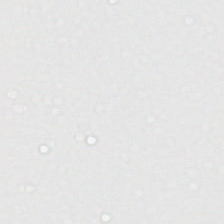Hematoxylin and eosin. 0.5 µm/px. Q: What does this patch show?
A: It is empty background.
